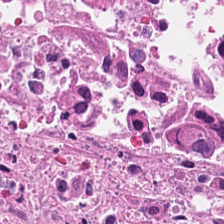Stain: hematoxylin-and-eosin stained section.
Tissue: cellular debris.
